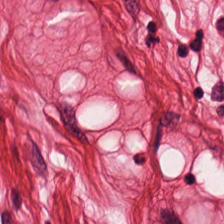H&E-stained tissue section. The predominant tissue is muscularis.
